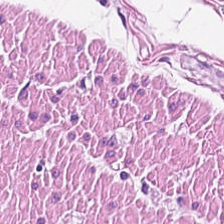Formalin-fixed paraffin-embedded section · H&E stain. Q: What is shown in this field?
A: Smooth-muscle tissue.
